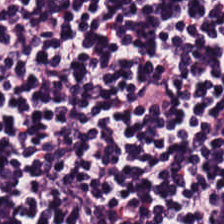224×224 px tile · hematoxylin-and-eosin stained section. This patch shows lymphoid infiltrate.
